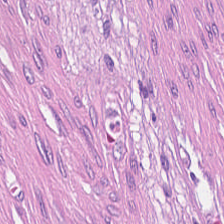WSI patch; hematoxylin and eosin. Q: What tissue type is shown here?
A: It is desmoplastic stroma.
